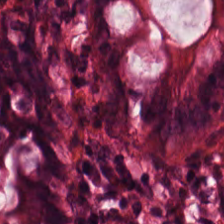Q: What type of tissue is this?
A: This is normal colon mucosa.
